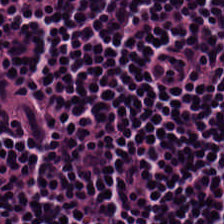{"tissue_type": "lymphocyte aggregate"}
